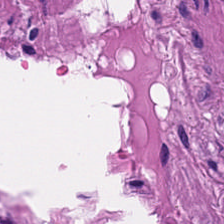H&E. The tissue is muscularis.
